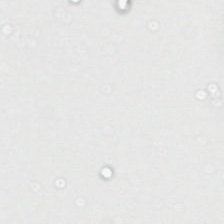H&E. This field is background (no tissue).
